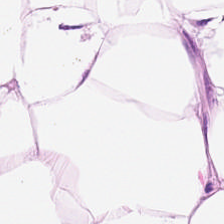Hematoxylin and eosin. Q: Classify this patch.
A: This is fat tissue.
